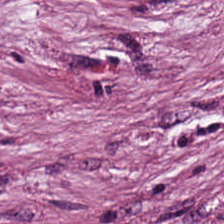H&E-stained tissue section — Tissue — cancer-associated stroma.
